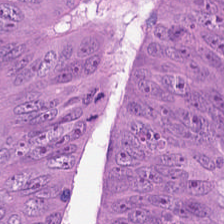Hematoxylin and eosin; 224×224 pixel tile. Q: What tissue type is shown here?
A: This is tumor epithelium.
